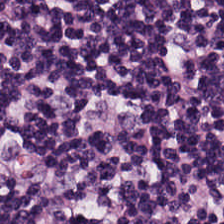H&E-stained tissue section.
Tissue class — lymphocyte aggregate.
